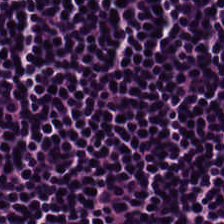H&E-stained tissue section — The tissue here is lymphocyte aggregate.
